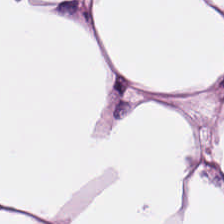H&E-stained tissue section; 0.5 µm/px — This field is fat tissue.
